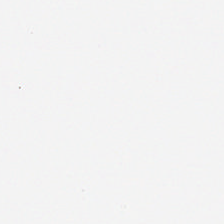H&E stain · FFPE — No tissue present; background only.
